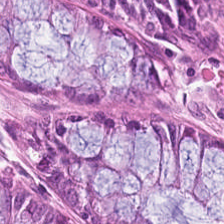Stain: H&E.
Acquisition: brightfield microscopy.
Predominant tissue: normal colonic mucosa.
